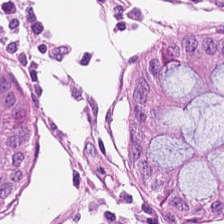Predominant tissue: non-neoplastic colon mucosa.
